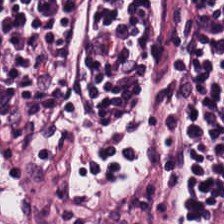H&E-stained tissue section. Predominantly lymphocytes.
